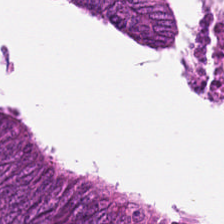224×224 pixel tile · brightfield · H&E — Q: Classify this patch.
A: Adenocarcinoma.
